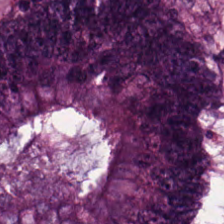Q: What type of tissue is this?
A: The field shows malignant epithelium.
